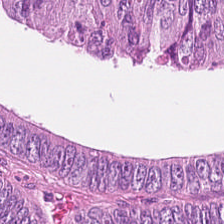Stain: H&E.
Resolution: 20× equivalent magnification.
Predominant tissue: tumor epithelium.
